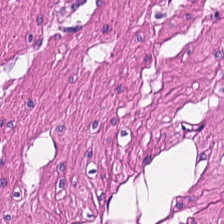The predominant tissue is smooth-muscle tissue.
